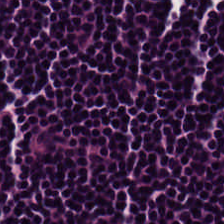0.5 µm per pixel; H&E-stained tissue section; FFPE — {"tissue_type": "lymphocytic infiltrate"}
